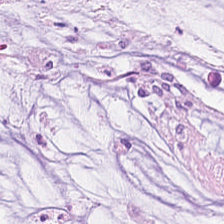This patch shows mucus.
